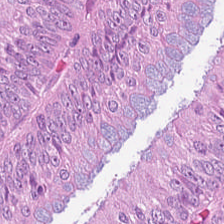Stain: hematoxylin and eosin.
Predominant tissue: malignant epithelium.
